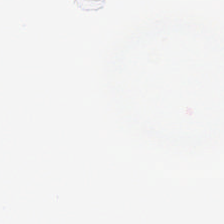H&E-stained tissue section; 0.5 microns per pixel.
Classification — empty background.
